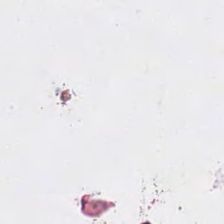H&E — Background — no tissue in this field.
